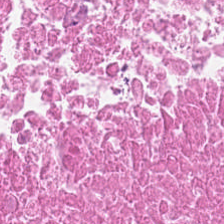Hematoxylin and eosin.
Tissue — debris.
